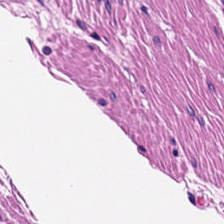Q: What is shown here?
A: It is smooth muscle.
